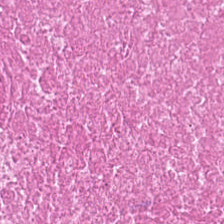Stain: hematoxylin-and-eosin stained section.
Tissue: debris.
